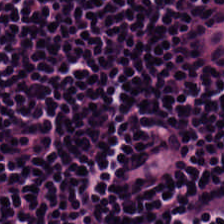Hematoxylin-and-eosin stained section.
Q: Identify the tissue.
A: This is lymphocytes.
